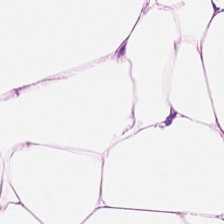H&E · 224×224 px patch — Histology → adipose.
